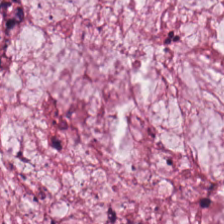H&E; WSI patch; 0.5 µm/px — Classification: mucin.
